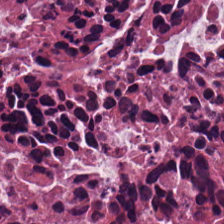This patch shows cellular debris.
